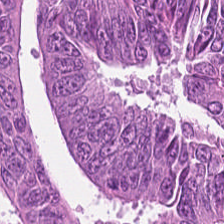Hematoxylin and eosin.
The tissue class is colorectal adenocarcinoma epithelium.
